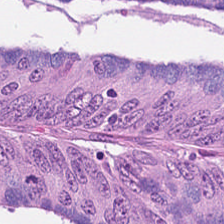H&E; 20× equivalent magnification — Predominantly tumor epithelium.
